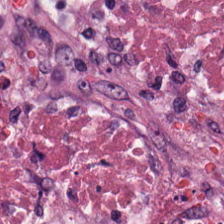H&E — Q: What type of tissue is this?
A: This is necrotic debris.
